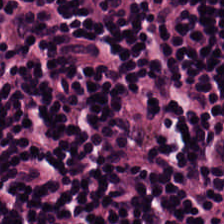Hematoxylin-and-eosin stained section. 224×224 px patch.
Tissue = lymphocytic infiltrate.
